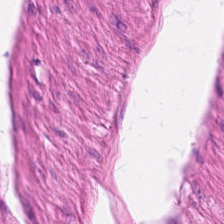H&E stain; FFPE — This field is smooth-muscle tissue.
